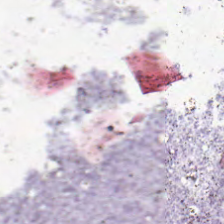0.5 microns per pixel. H&E stain. Formalin-fixed paraffin-embedded section. Empty field — empty background.
